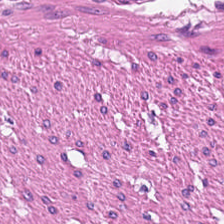0.5 µm per pixel; hematoxylin and eosin; 224×224 pixel tile.
This field is smooth muscle.
